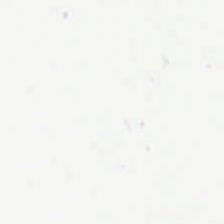Hematoxylin-and-eosin stained section. This field is background (no tissue).
